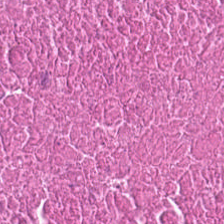Hematoxylin-and-eosin stained section · formalin-fixed paraffin-embedded section — Showing cellular debris.
